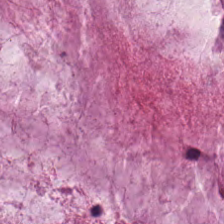Hematoxylin-and-eosin stained section · FFPE. This patch shows mucin.
